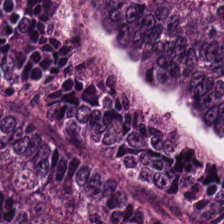H&E-stained tissue section. This field is tumor epithelium.
